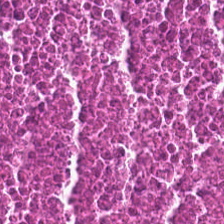Stain: H&E.
Tissue type: debris.
